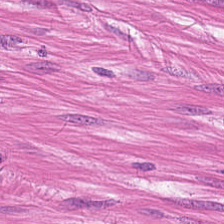Showing smooth muscle.
